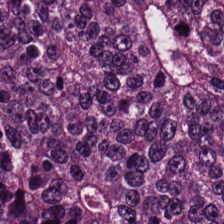H&E-stained tissue section — Predominantly colorectal adenocarcinoma epithelium.
